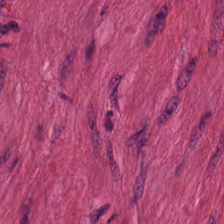{"tissue_type": "smooth-muscle tissue"}
